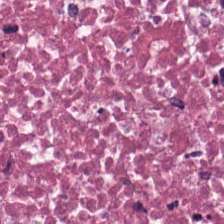Stain: H&E.
Acquisition: whole-slide-image patch.
Resolution: 20× equivalent magnification.
Tissue: debris.
